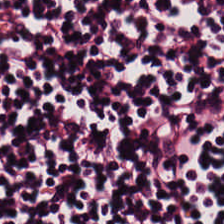Hematoxylin-and-eosin section: lymphocytes.
